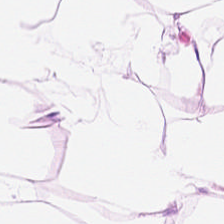Stain: hematoxylin and eosin.
Predominant tissue: adipocytes.
